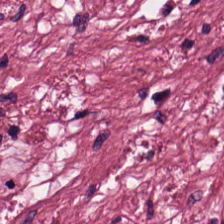H&E stain. 224×224 px tile — This patch shows tumor stroma.
